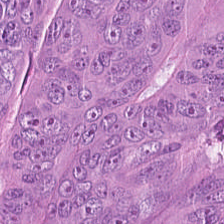Formalin-fixed paraffin-embedded section; H&E-stained tissue section — Tissue type: malignant epithelium.
